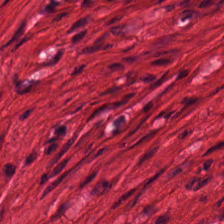Hematoxylin and eosin. Tissue class: smooth-muscle tissue.
